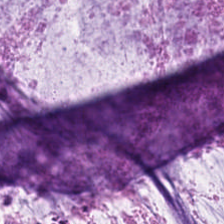H&E.
Q: What is shown in this field?
A: The field shows mucin.
